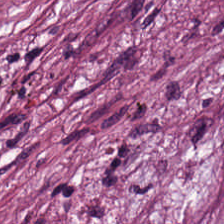Stain: H&E stain.
Tissue type: desmoplastic stroma.
